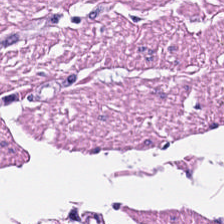Smooth-muscle tissue.
